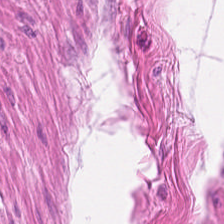H&E stain — The tissue type is smooth-muscle tissue.
